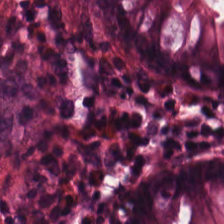H&E stain. 0.5 µm per pixel — Finding → non-neoplastic colon mucosa.
